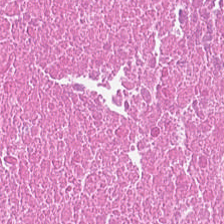FFPE tissue section; 224×224 px patch; H&E — Impression → debris.
